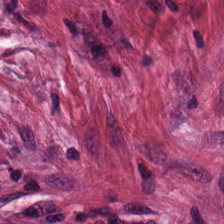Hematoxylin-and-eosin section: tumor-associated stroma.
